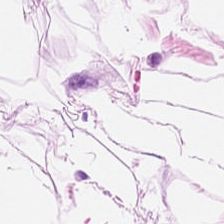H&E. Formalin-fixed paraffin-embedded section.
Classification — fat tissue.
